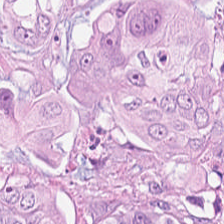H&E stain.
Predominantly colorectal adenocarcinoma epithelium.
